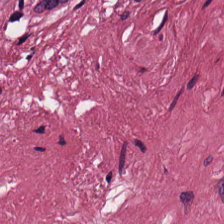Hematoxylin and eosin — The tissue here is desmoplastic stroma.
